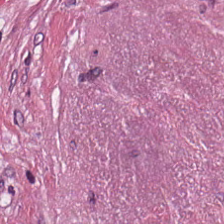Hematoxylin-and-eosin stained section — Tissue — cancer-associated stroma.
